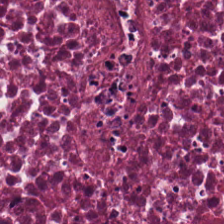H&E — Q: What tissue is shown?
A: The field shows debris.
